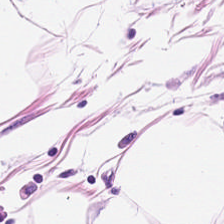Hematoxylin-and-eosin stained section. 224×224 pixel tile. 0.5 microns per pixel. Q: What tissue type is shown here?
A: It is adipose.
